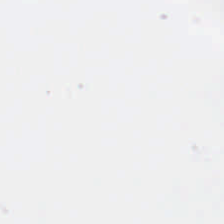H&E-stained tissue section. The field content is background (no tissue).
